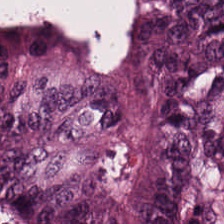H&E. Impression — malignant epithelium.
